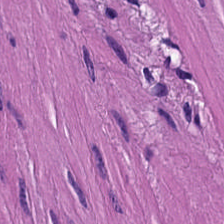224×224 px tile · H&E stain. Q: What does this patch show?
A: The field shows smooth-muscle tissue.
